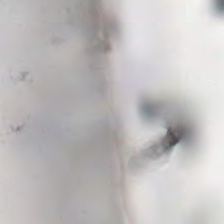Q: What is shown here?
A: This is background (no tissue).
